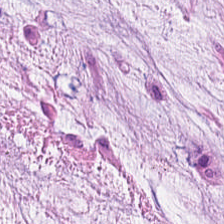20× equivalent magnification; H&E-stained tissue section — Impression — mucin.
